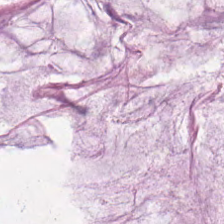H&E — Predominantly extracellular mucin.
